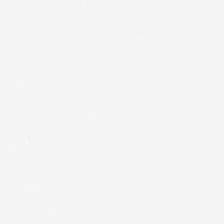H&E. Empty field — no tissue.
